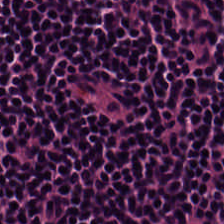Q: What is shown in this field?
A: It is lymphocytes.
